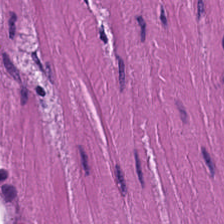Hematoxylin and eosin. Formalin-fixed paraffin-embedded section.
Predominant tissue: smooth-muscle tissue.
